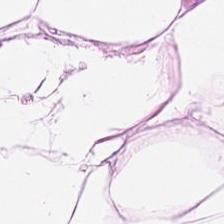H&E stain.
Predominantly fat tissue.
